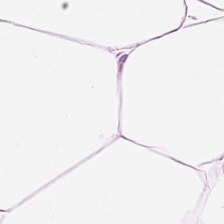H&E-stained tissue section. Adipocytes.
